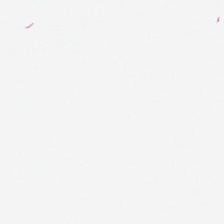Formalin-fixed paraffin-embedded section · WSI patch · hematoxylin and eosin. This field is background (no tissue).
